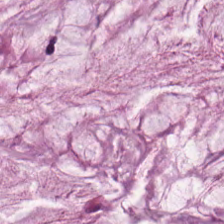0.5 µm/px · FFPE tissue section · hematoxylin and eosin. The tissue class is extracellular mucin.
